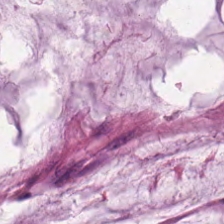H&E-stained tissue section. Histology → extracellular mucin.
